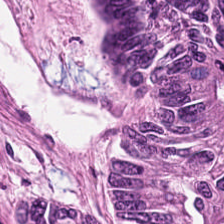Formalin-fixed paraffin-embedded section · H&E-stained tissue section · whole-slide-image patch.
Colorectal adenocarcinoma epithelium.
